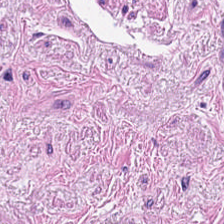H&E-stained tissue section.
{"tissue_type": "smooth-muscle tissue"}
